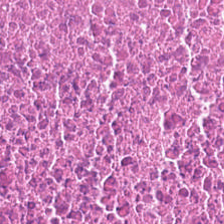H&E stain. The tissue is necrotic debris.
